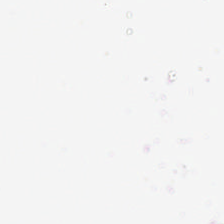Hematoxylin-and-eosin stained section.
Q: Classify this patch.
A: It is background.
